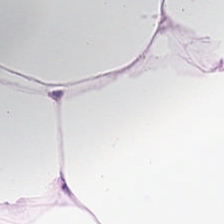Q: What tissue is shown?
A: It is adipose.
